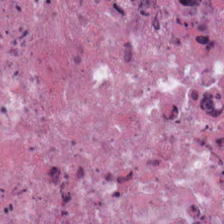Predominant tissue — debris.
